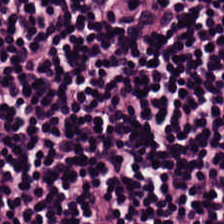H&E-stained tissue section.
Q: What is shown here?
A: It is lymphocyte aggregate.
